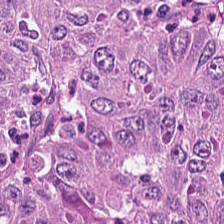The tissue here is tumor epithelium.
